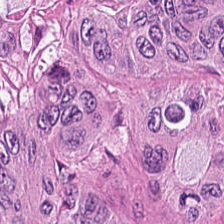H&E stain. WSI patch.
The predominant tissue is colorectal adenocarcinoma.
